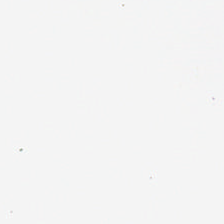Formalin-fixed paraffin-embedded section · brightfield microscopy · hematoxylin and eosin. Content = empty background.
